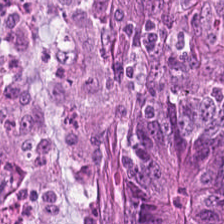WSI patch. H&E stain. FFPE — Q: What is shown in this field?
A: This is tumor epithelium.
